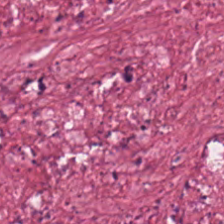H&E stain · formalin-fixed paraffin-embedded section.
{"tissue_type": "tumor-associated stroma"}
